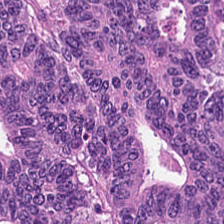Whole-slide-image patch · hematoxylin and eosin — Q: What type of tissue is this?
A: This is malignant epithelium.
